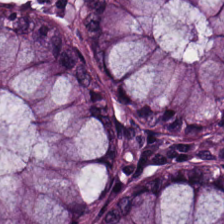H&E. Q: What tissue type is shown here?
A: The field shows normal colon mucosa.
